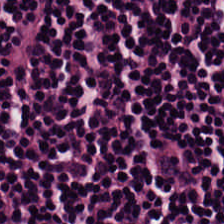Stain: hematoxylin-and-eosin stained section.
Preparation: FFPE tissue section.
Classification: lymphocyte aggregate.
